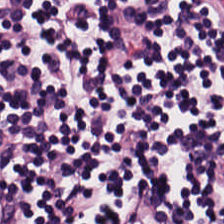The classification is lymphocytes.
